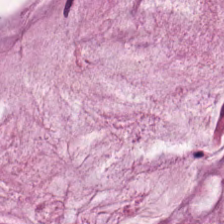H&E-stained tissue section. The predominant tissue is mucus.
